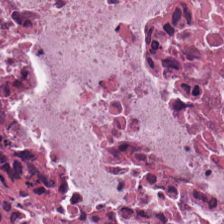{"tissue_type": "necrotic debris"}
